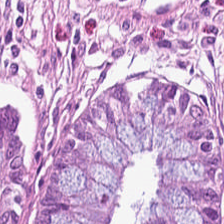{"tissue_type": "normal colonic mucosa"}
